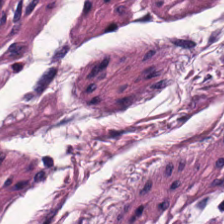H&E stain.
The predominant tissue is muscularis.
